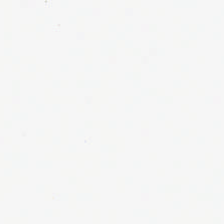WSI patch. H&E-stained tissue section. 0.5 µm/px — Background (no tissue).
